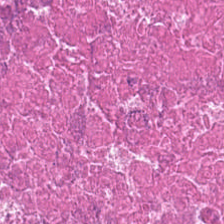FFPE; hematoxylin and eosin — Tissue — necrotic debris.
